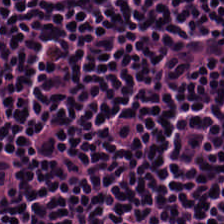H&E stain · 224×224 px patch · formalin-fixed paraffin-embedded section.
Impression → lymphocytic infiltrate.
